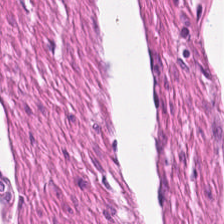{"tissue_type": "smooth-muscle tissue"}
